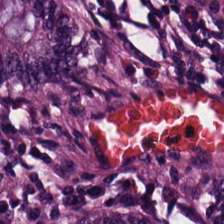Brightfield; H&E — Histology — benign colonic mucosa.
